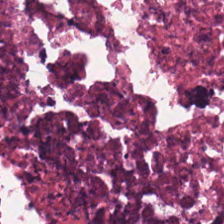Tissue class = necrotic debris.
